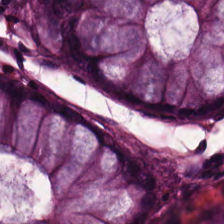H&E — {"tissue_type": "normal colonic mucosa"}
